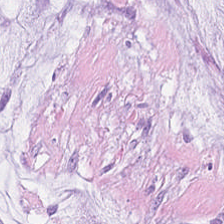224×224 pixel tile · H&E — This patch shows mucus.
